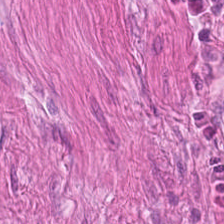224×224 px tile. Hematoxylin-and-eosin stained section — Q: What is the predominant tissue type?
A: The field shows smooth muscle.
